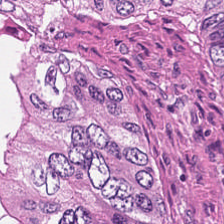Stain: H&E-stained tissue section.
Predominant tissue: necrotic debris.
